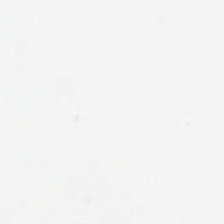Stain: H&E.
Classification: empty background.
